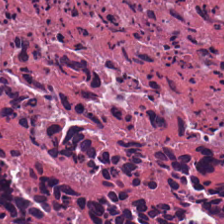Showing debris.
